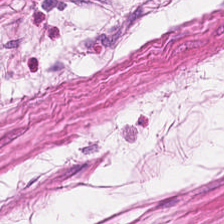H&E stain.
Classification = smooth muscle.
